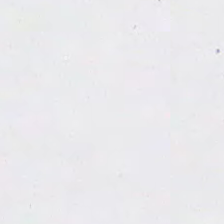Histology — background.
